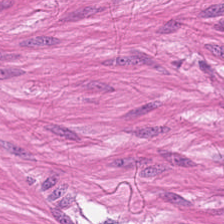Stain: H&E-stained tissue section.
Predominant tissue: smooth muscle.
